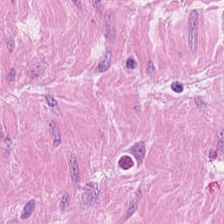Brightfield microscopy · H&E · FFPE — This field is smooth muscle.
